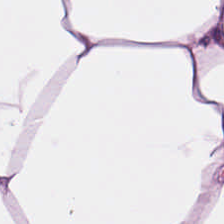This patch shows adipose tissue.
